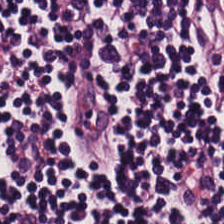WSI patch · H&E-stained tissue section. This field is lymphocytic infiltrate.
